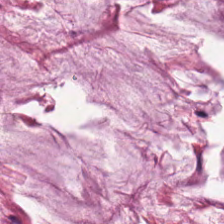H&E-stained tissue section showing mucin.
